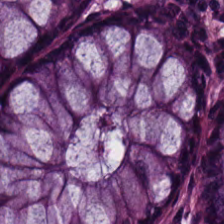Stain: hematoxylin and eosin.
Tissue: normal colon mucosa.
